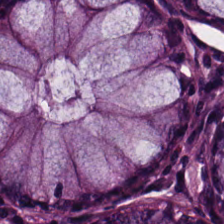224×224 px tile · H&E-stained tissue section.
Tissue: normal colonic mucosa.
